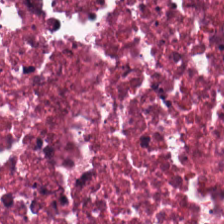Hematoxylin and eosin; 224×224 px patch. This patch shows debris.
